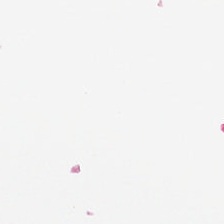Hematoxylin-and-eosin stained section. This field is background (no tissue).
